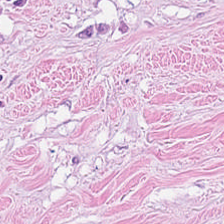H&E-stained tissue section — Q: What tissue type is shown here?
A: Tumor-associated stroma.
